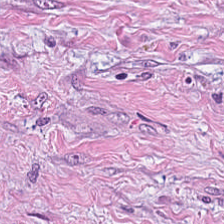H&E stain. This patch shows cancer-associated stroma.
